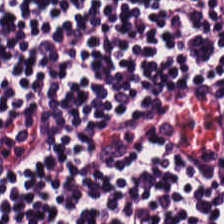Hematoxylin and eosin.
Finding — lymphocytic infiltrate.
